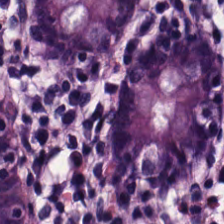H&E stain · formalin-fixed paraffin-embedded section.
Classification = benign colonic mucosa.
